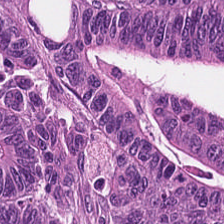FFPE tissue section; 20× equivalent magnification; H&E stain — Finding → colorectal adenocarcinoma.
